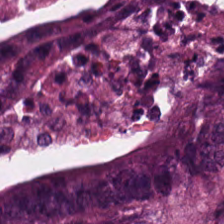H&E-stained tissue section.
Predominantly tumor epithelium.
